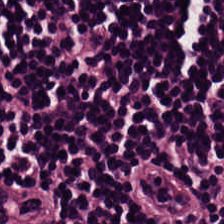Hematoxylin and eosin · 224×224 pixel tile. Predominantly lymphocytes.
